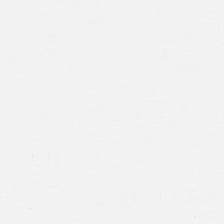Stain: H&E-stained tissue section.
Content: background.
